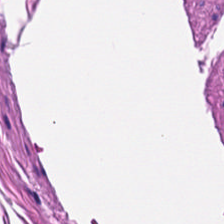0.5 µm/px · hematoxylin and eosin · brightfield — Smooth muscle.
